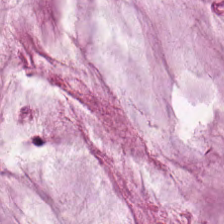Histology — mucin.
